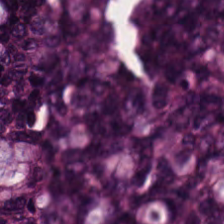H&E-stained tissue section — The tissue here is tumor epithelium.
